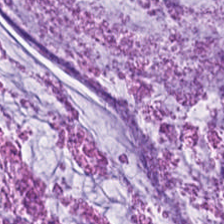H&E — mucin.
